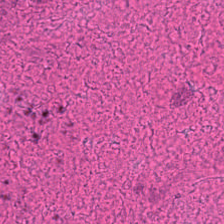Tissue class — debris.
